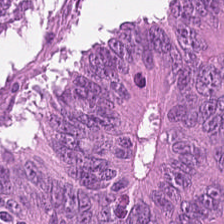H&E-stained tissue section showing adenocarcinoma.
